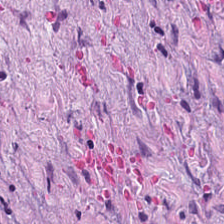Hematoxylin-and-eosin stained section. The tissue is cancer-associated stroma.
